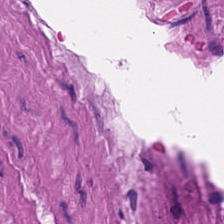Hematoxylin-and-eosin stained section · 224×224 pixel tile. Smooth-muscle tissue.
